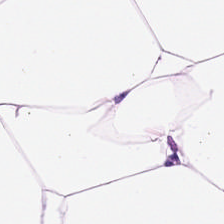H&E stain — Classification — fat tissue.
